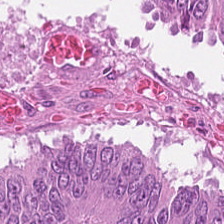0.5 µm/px; 224×224 px patch; hematoxylin and eosin — Q: Identify the tissue.
A: The field shows malignant epithelium.
